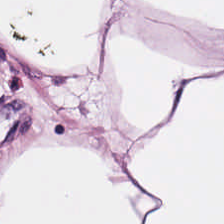224×224 pixel tile · H&E — The tissue type is adipocytes.
